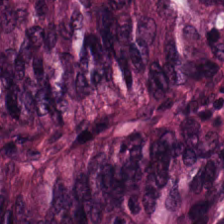H&E-stained tissue section. This patch shows tumor epithelium.
